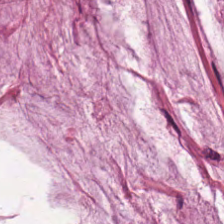Hematoxylin and eosin.
Tissue — extracellular mucin.
